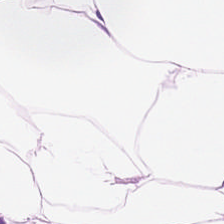Hematoxylin-and-eosin stained section.
Q: Identify the tissue.
A: Adipose.
